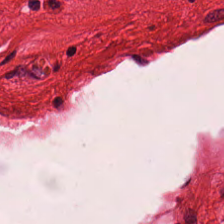0.5 microns per pixel. H&E. FFPE. Q: What tissue is shown?
A: Smooth muscle.
